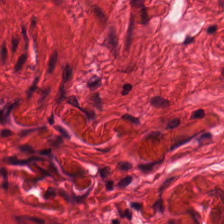224×224 pixel tile. H&E stain.
The predominant tissue is smooth muscle.
